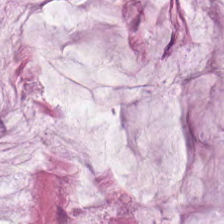H&E stain — Histology — mucin.
